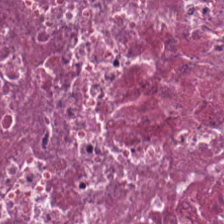Hematoxylin-and-eosin stained section.
This field is cellular debris.
